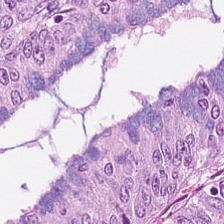H&E-stained tissue section. 224×224 px patch. The tissue here is colorectal adenocarcinoma.
